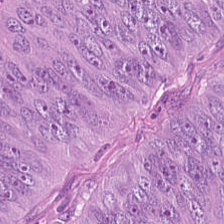H&E stain — Finding — tumor epithelium.
